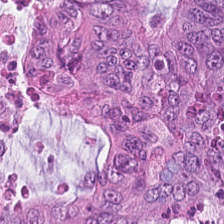H&E; FFPE. The predominant tissue is adenocarcinoma.
